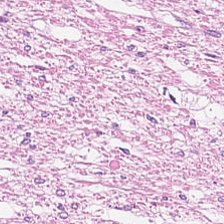H&E stain. Brightfield. This patch shows muscularis.
